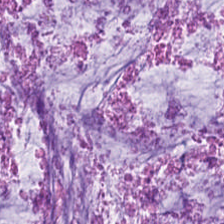Whole-slide-image patch · H&E · formalin-fixed paraffin-embedded section — Predominantly mucin.
